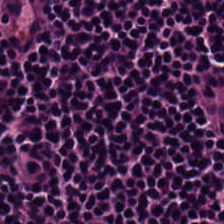Stain: H&E stain.
Tissue: lymphoid infiltrate.
